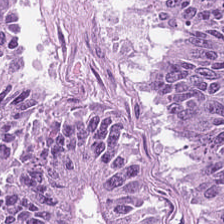224×224 px patch. Brightfield microscopy. H&E-stained tissue section.
Q: What does this patch show?
A: Adenocarcinoma.
